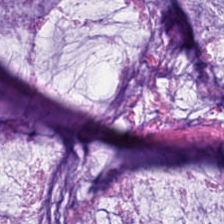H&E-stained tissue section.
Predominantly mucin.
